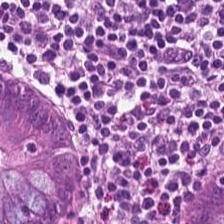{"tissue_type": "normal colon mucosa"}
